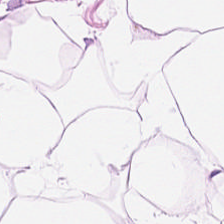H&E-stained tissue section. 224×224 px patch. 20× equivalent magnification.
This field is adipose.
